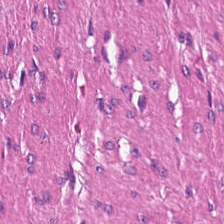FFPE · H&E-stained tissue section · 0.5 µm per pixel — The tissue is smooth muscle.
